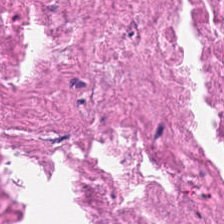Predominantly cellular debris.
